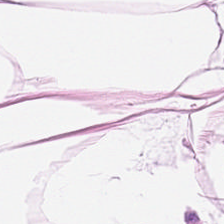224×224 pixel tile; 0.5 µm/px; H&E-stained tissue section — This field is fat tissue.
